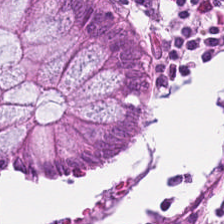H&E stain — Showing benign colonic mucosa.
